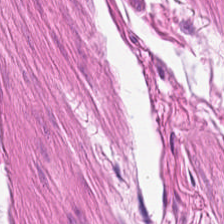Stain: hematoxylin and eosin.
Tissue type: smooth muscle.
